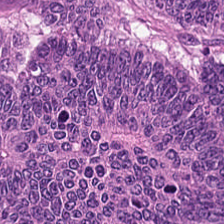Tissue: colorectal adenocarcinoma epithelium.
